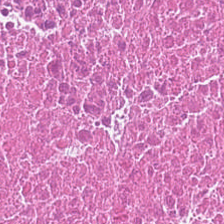224×224 px patch; hematoxylin-and-eosin stained section; FFPE tissue section. Debris.
